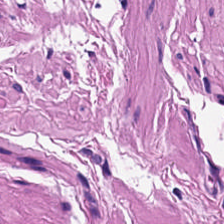H&E stain. Q: What is shown in this field?
A: It is smooth-muscle tissue.
